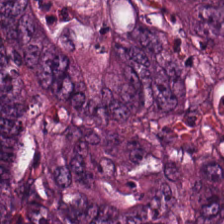H&E.
The tissue is colorectal adenocarcinoma epithelium.
